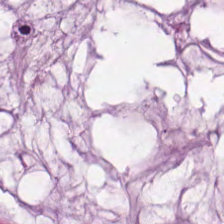Q: Classify this patch.
A: Mucus.
